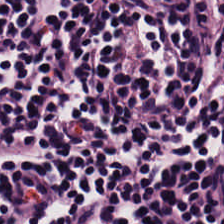H&E.
The tissue here is lymphoid infiltrate.
